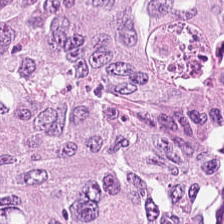Hematoxylin-and-eosin stained section. Brightfield microscopy. Classification — tumor epithelium.
